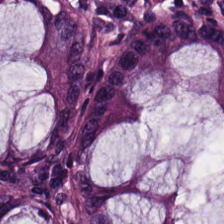Q: What is shown here?
A: Normal colon mucosa.
